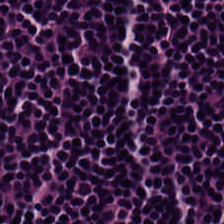H&E stain.
{"tissue_type": "lymphoid infiltrate"}
